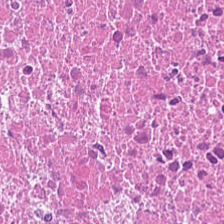Brightfield; 224×224 px tile; hematoxylin-and-eosin stained section — The predominant tissue is cellular debris.
